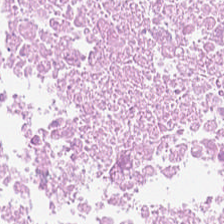H&E. Finding → debris.
